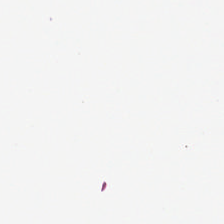Hematoxylin and eosin · whole-slide-image patch — Finding — background (no tissue).
